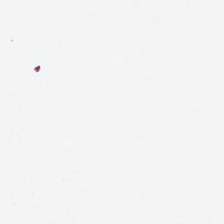Empty background.
